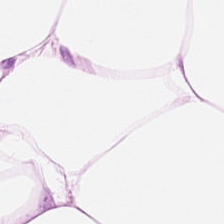H&E stain.
The predominant tissue is adipocytes.
